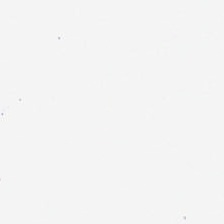Content = empty background.
